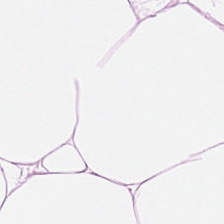H&E stain. 224×224 px patch. The predominant tissue is adipose.
